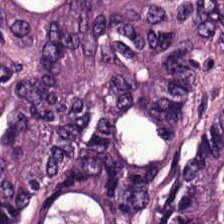224×224 pixel tile. H&E stain. Formalin-fixed paraffin-embedded section. Q: What tissue type is shown here?
A: Colorectal adenocarcinoma.
